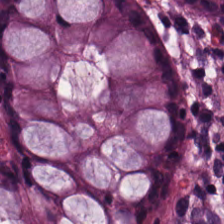Stain: hematoxylin and eosin.
Preparation: FFPE tissue section.
Acquisition: brightfield microscopy.
Tissue class: normal colonic mucosa.
